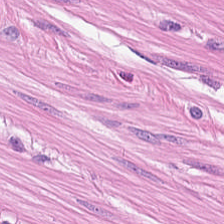This patch shows smooth muscle.
